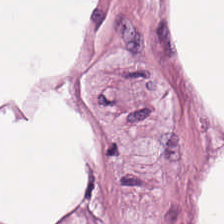Hematoxylin-and-eosin section: adipocytes.
